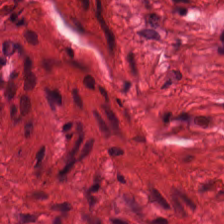H&E — Finding — muscularis.
